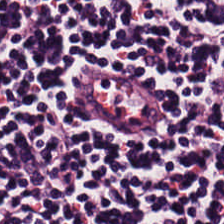Hematoxylin-and-eosin stained section — Histology — lymphocytes.
